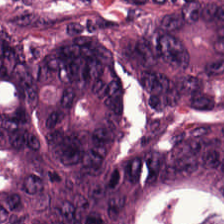Stain: hematoxylin-and-eosin stained section.
Resolution: 20× equivalent magnification.
Predominant tissue: tumor epithelium.
